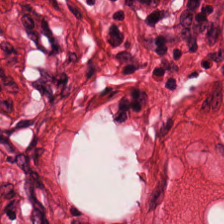H&E stain. Formalin-fixed paraffin-embedded section. Whole-slide-image patch. Q: Classify this patch.
A: Muscularis.
